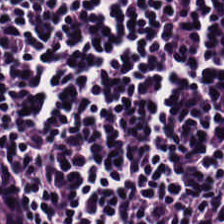The predominant tissue is lymphocytes.
